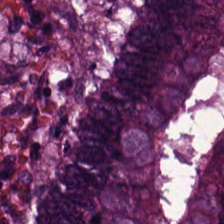H&E. Finding → tumor epithelium.
